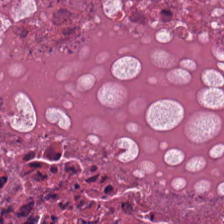Tissue class — cellular debris.
